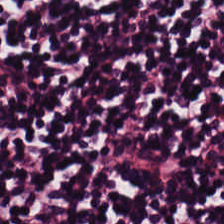Stain: H&E.
Predominant tissue: lymphocyte aggregate.
